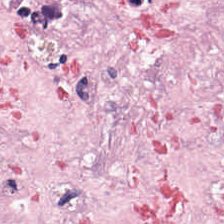H&E — The tissue is tumor stroma.
